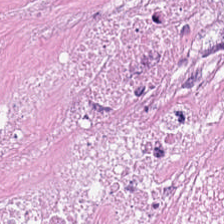H&E.
Histology — necrotic debris.
